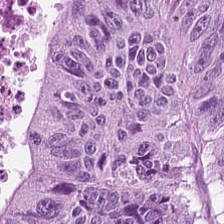Brightfield microscopy · H&E · FFPE — Malignant epithelium.
